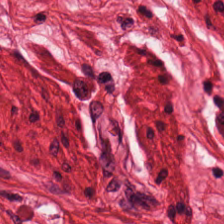The tissue class is smooth-muscle tissue.
